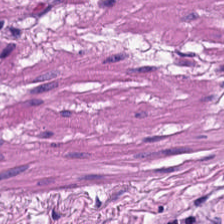Stain: H&E-stained tissue section.
Tissue: smooth-muscle tissue.
